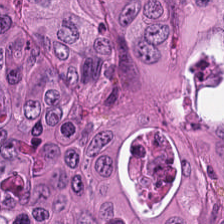Q: What tissue type is shown here?
A: Colorectal adenocarcinoma.
